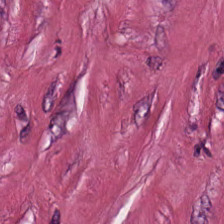Tissue type = desmoplastic stroma.
